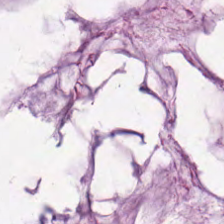WSI patch · H&E-stained tissue section · 224×224 px patch. The tissue type is mucus.
